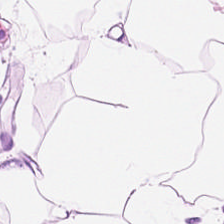H&E stain.
Q: What type of tissue is this?
A: It is adipose.
